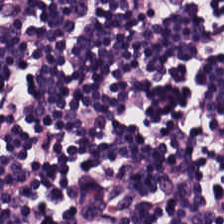H&E stain. The predominant tissue is lymphocyte aggregate.
